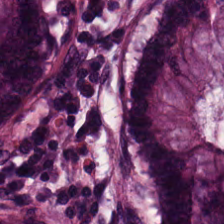The tissue here is non-neoplastic colon mucosa.
